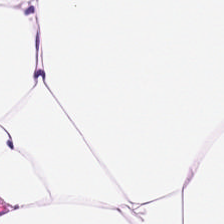FFPE tissue section; 0.5 microns per pixel; H&E stain — This patch shows adipose.
